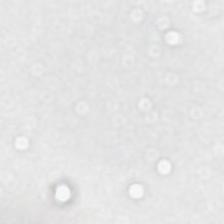224×224 px patch. Hematoxylin and eosin.
This patch shows background.
